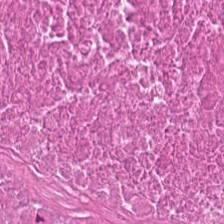Histology → necrotic debris.
